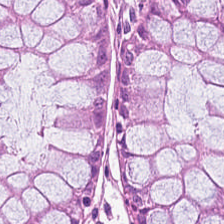Hematoxylin and eosin; whole-slide-image patch.
Tissue class = normal colon mucosa.
